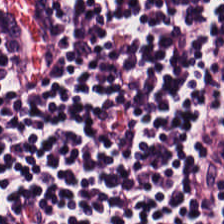H&E stain. 224×224 px patch — The tissue type is lymphocytic infiltrate.
